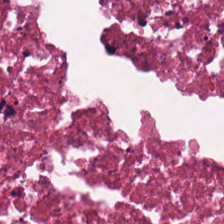Hematoxylin-and-eosin stained section — Q: Identify the tissue.
A: This is debris.
